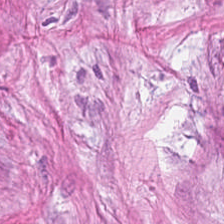Stain: hematoxylin and eosin.
Tile size: 224×224 px patch.
Tissue: desmoplastic stroma.
